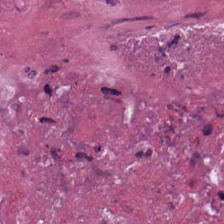H&E. 0.5 microns per pixel. Formalin-fixed paraffin-embedded section.
The tissue here is debris.
